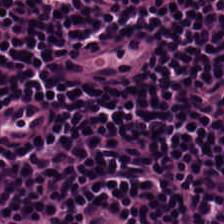Hematoxylin-and-eosin stained section. The tissue here is lymphoid infiltrate.
